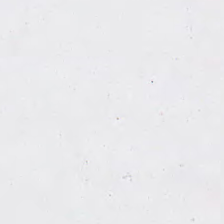H&E — No tissue present; background only.
